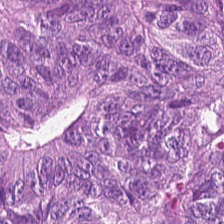H&E-stained tissue section.
Impression — adenocarcinoma.
